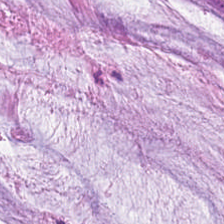Stain: H&E.
Resolution: 20× equivalent magnification.
Tissue class: extracellular mucin.
